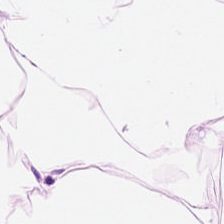H&E-stained tissue section. 224×224 px tile. 0.5 µm/px.
This patch shows adipose tissue.
